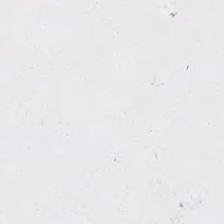H&E-stained tissue section — This field is background (no tissue).
